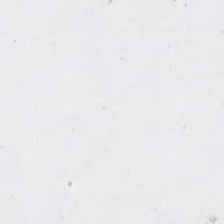Stain: hematoxylin and eosin.
Acquisition: brightfield.
Field content: no tissue.
